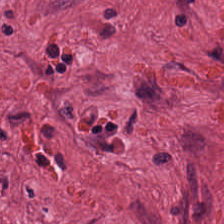20× equivalent magnification; whole-slide-image patch; H&E stain. Tissue — tumor-associated stroma.
